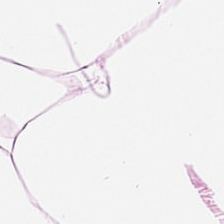H&E. FFPE. 0.5 microns per pixel.
Adipose tissue.
